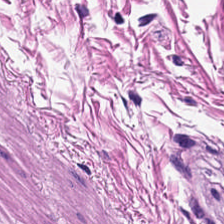224×224 pixel tile; hematoxylin-and-eosin stained section. Histology → smooth-muscle tissue.
